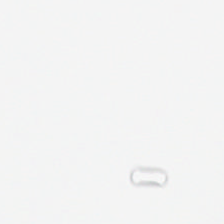The field content is background (no tissue).
